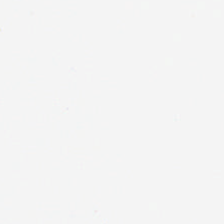The content is background.
